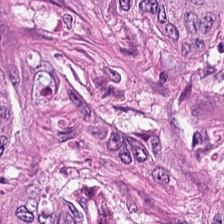H&E-stained tissue section showing malignant epithelium.
